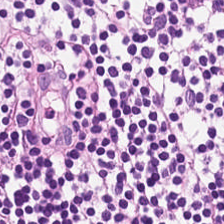0.5 µm/px · hematoxylin-and-eosin stained section. Predominantly lymphoid infiltrate.
